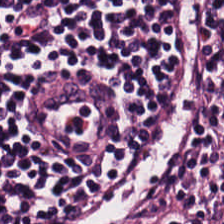H&E-stained tissue section; 224×224 pixel tile; 20× equivalent magnification.
{"tissue_type": "lymphocytic infiltrate"}
